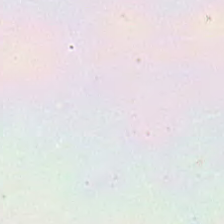WSI patch; H&E stain.
This field is background (no tissue).
